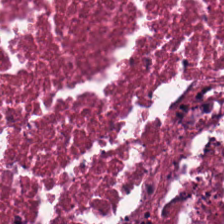H&E-stained tissue section · 224×224 px tile.
This field is cellular debris.
